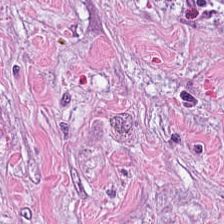Predominant tissue — tumor stroma.
